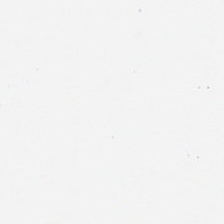Content: background.
